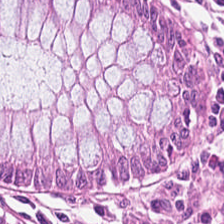The predominant tissue is non-neoplastic colon mucosa.
